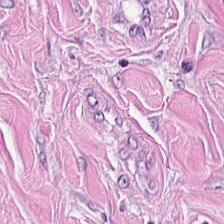H&E stain.
Tissue = cancer-associated stroma.
